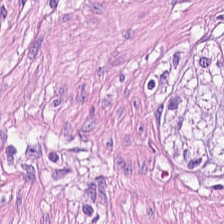H&E stain.
Q: Classify this patch.
A: This is muscularis.
